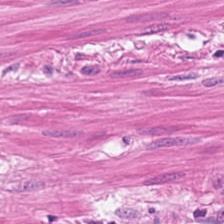The tissue type is muscularis.
